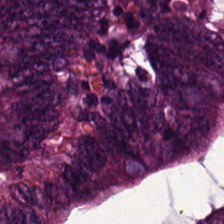H&E-stained tissue section.
This field is tumor epithelium.
